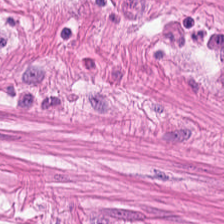Stain: H&E stain.
Tissue: muscularis.
